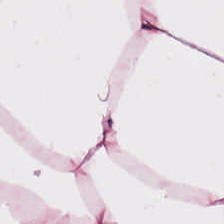H&E. {"tissue_type": "adipose tissue"}
